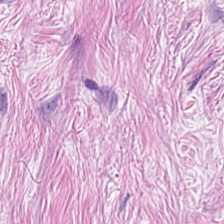Hematoxylin-and-eosin stained section; FFPE tissue section.
Finding → tumor-associated stroma.
